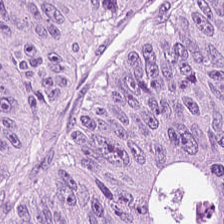H&E. Q: What tissue is shown?
A: Malignant epithelium.
